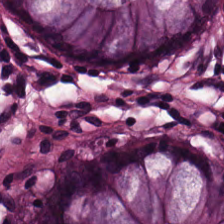H&E stain.
The predominant tissue is non-neoplastic colon mucosa.
